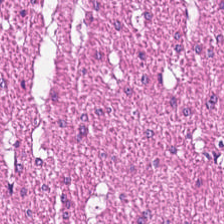Stain: hematoxylin-and-eosin stained section.
Predominant tissue: muscularis.
